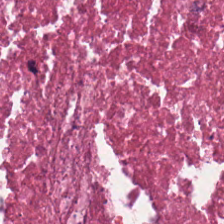Brightfield; hematoxylin-and-eosin stained section; FFPE. Tissue type — debris.
